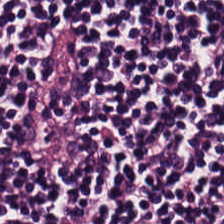H&E-stained tissue section showing lymphocytic infiltrate.
